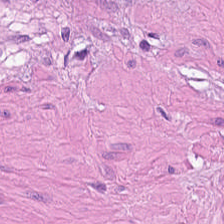Hematoxylin-and-eosin stained section — Q: What tissue is shown?
A: This is smooth-muscle tissue.
